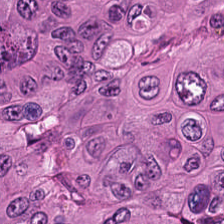Adenocarcinoma.
